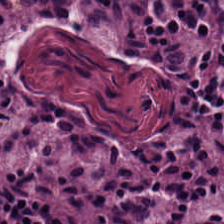H&E-stained tissue section — Q: What is shown in this field?
A: It is lymphocytic infiltrate.
